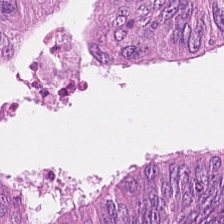H&E stain — Showing colorectal adenocarcinoma.
